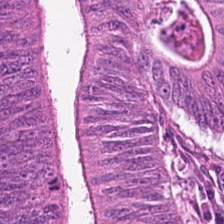Stain: H&E.
Tissue: colorectal adenocarcinoma.
